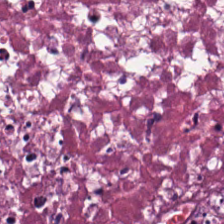Hematoxylin-and-eosin stained section; 20× equivalent magnification; brightfield — Impression — cellular debris.
